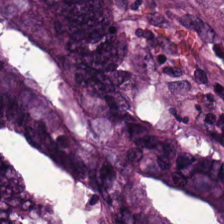Predominant tissue — tumor epithelium.
